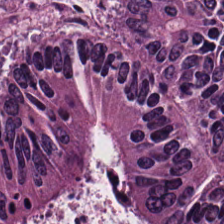{"tissue_type": "malignant epithelium"}
